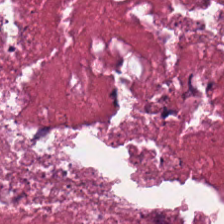0.5 µm/px; H&E — Classification: necrotic debris.
